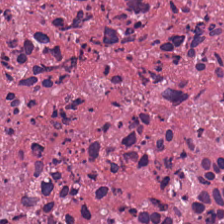H&E stain. Tissue class = debris.
